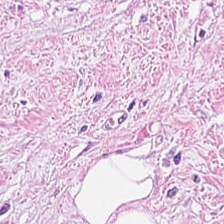Hematoxylin-and-eosin stained section.
The predominant tissue is tumor-associated stroma.
